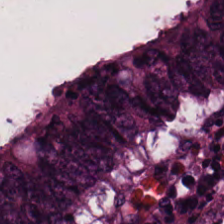224×224 px patch · H&E — Impression → colorectal adenocarcinoma.
